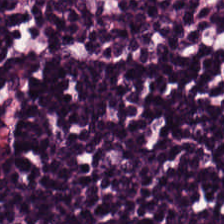H&E. Q: Classify this patch.
A: It is lymphoid infiltrate.
